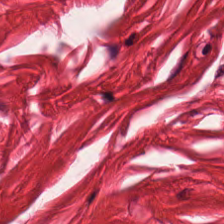0.5 µm per pixel · hematoxylin-and-eosin stained section.
The predominant tissue is muscularis.
